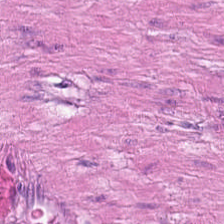Formalin-fixed paraffin-embedded section. H&E. WSI patch. Smooth muscle.
